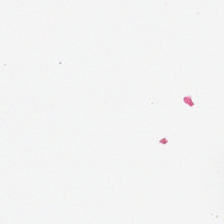Stain: hematoxylin and eosin.
Preparation: formalin-fixed paraffin-embedded section.
Classification: no tissue.
